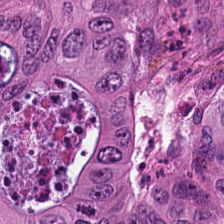0.5 µm per pixel; H&E-stained tissue section. Tissue class: colorectal adenocarcinoma.
